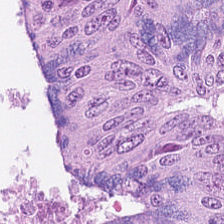0.5 microns per pixel · H&E. Impression → tumor epithelium.
